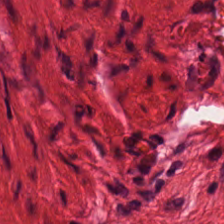Tissue class: muscularis.
